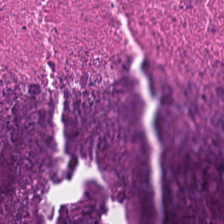0.5 microns per pixel · H&E stain · WSI patch.
Impression → cellular debris.
